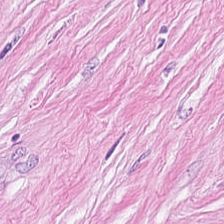H&E.
{"tissue_type": "cancer-associated stroma"}
